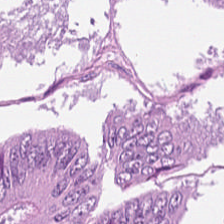Classification: tumor epithelium.
